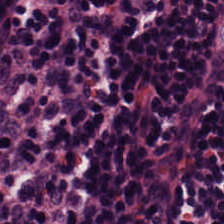Stain: H&E.
Resolution: 0.5 microns per pixel.
Classification: lymphocytic infiltrate.
